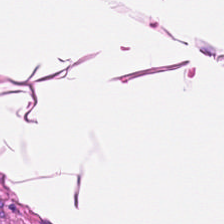Hematoxylin-and-eosin stained section.
Tissue — smooth muscle.
